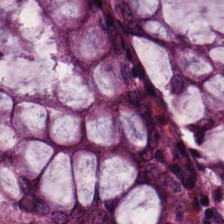{"tissue_type": "normal colon mucosa"}
